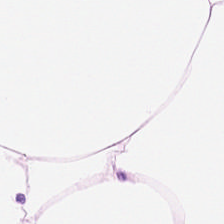224×224 px tile; formalin-fixed paraffin-embedded section; H&E.
{"tissue_type": "adipose"}
